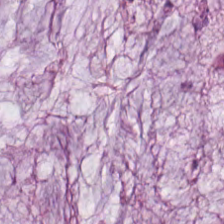H&E.
The tissue here is mucin.
